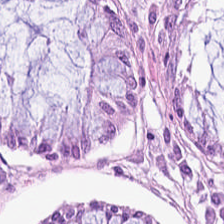Tissue = normal colonic mucosa.
